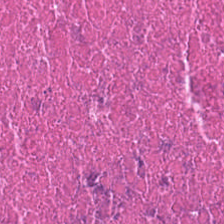H&E; 0.5 µm per pixel; 224×224 pixel tile. Showing cellular debris.
